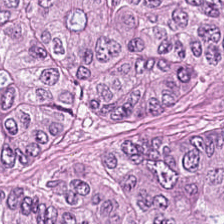H&E — {"tissue_type": "adenocarcinoma"}
